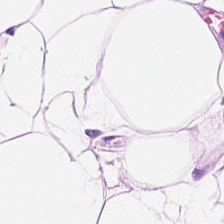Stain: H&E.
Tissue: adipocytes.
